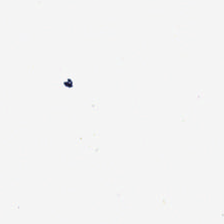Hematoxylin and eosin · FFPE tissue section. Q: What is shown here?
A: Background.
